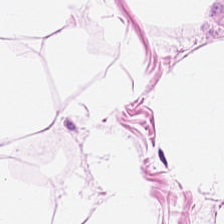H&E stain.
Q: What does this patch show?
A: Fat tissue.
